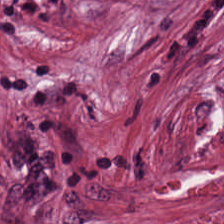20× equivalent magnification; hematoxylin and eosin. The tissue type is tumor stroma.
